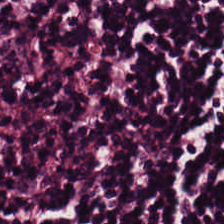H&E stain. {"tissue_type": "lymphocytic infiltrate"}
